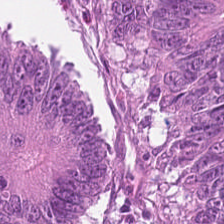H&E; 224×224 pixel tile.
This patch shows colorectal adenocarcinoma.
